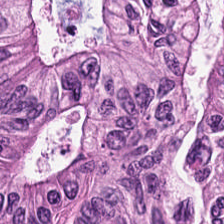H&E · 224×224 px tile.
Predominantly tumor epithelium.
